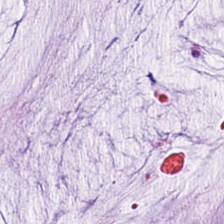Stain: H&E-stained tissue section.
Resolution: 20× equivalent magnification.
Tissue class: mucin.
